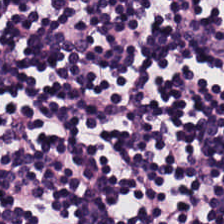Stain: hematoxylin-and-eosin stained section.
Resolution: 0.5 microns per pixel.
Tissue: lymphoid infiltrate.
